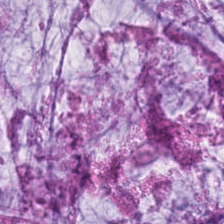Hematoxylin-and-eosin section: mucus.
